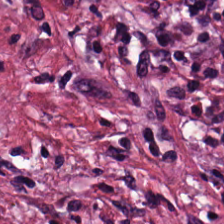Stain: H&E stain.
Resolution: 20× equivalent magnification.
Tissue type: cancer-associated stroma.
